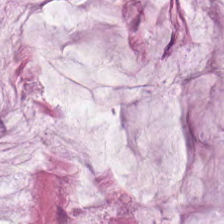0.5 µm per pixel · brightfield · hematoxylin and eosin.
Tissue class = extracellular mucin.
